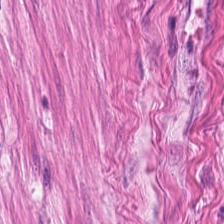H&E stain. Showing muscularis.
